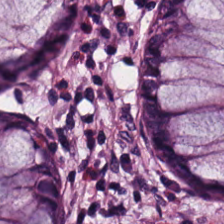Predominant tissue — benign colonic mucosa.
